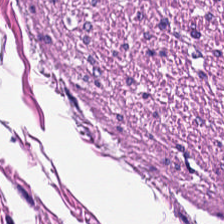H&E · whole-slide-image patch.
Predominantly smooth muscle.
